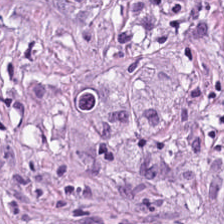H&E-stained tissue section; 20× equivalent magnification — The predominant tissue is desmoplastic stroma.
